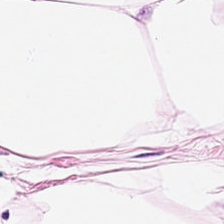Hematoxylin and eosin — Q: What is shown in this field?
A: This is adipocytes.
